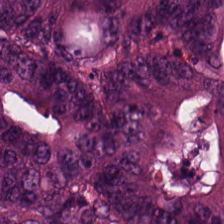Showing colorectal adenocarcinoma epithelium.
